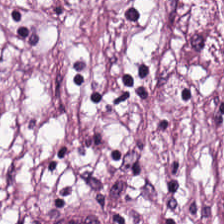Hematoxylin and eosin — Showing tumor-associated stroma.
